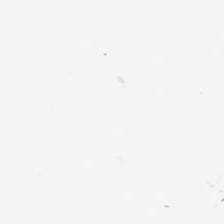H&E — Histology → background (no tissue).
